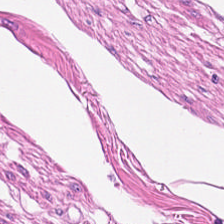Hematoxylin and eosin.
This field is smooth-muscle tissue.
